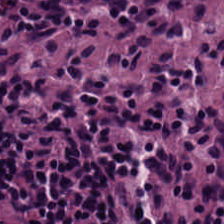H&E; 224×224 pixel tile. Histology → lymphoid infiltrate.
